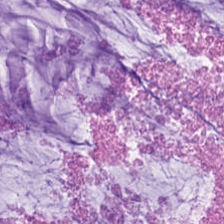224×224 pixel tile. H&E stain. Brightfield microscopy. Q: What tissue type is shown here?
A: Mucus.
